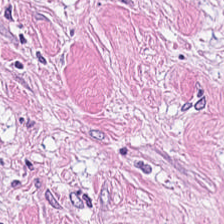H&E stain.
Q: What is shown in this field?
A: Desmoplastic stroma.
